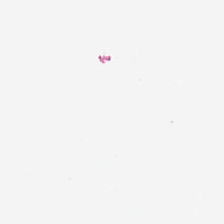Hematoxylin-and-eosin stained section · 0.5 µm per pixel — {"content": "no tissue"}
